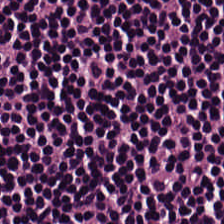Stain: H&E.
Tissue: lymphoid infiltrate.
